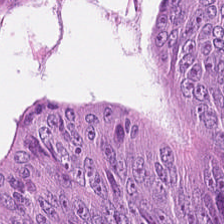H&E — Showing colorectal adenocarcinoma.
